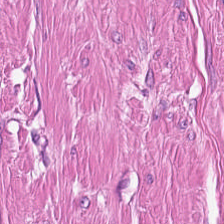Hematoxylin and eosin. This field is muscularis.
